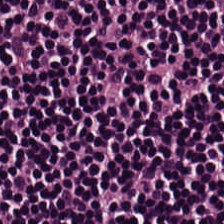H&E.
The tissue here is lymphocytes.
